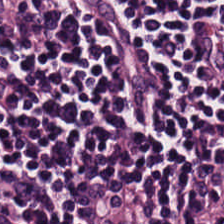H&E.
Q: What is the predominant tissue type?
A: Lymphocytes.
